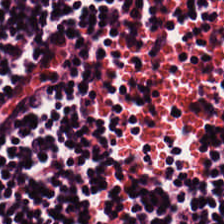H&E-stained section; the field shows lymphocyte aggregate.
